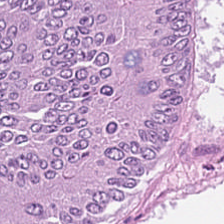H&E-stained tissue section.
Q: Classify this patch.
A: Adenocarcinoma.
